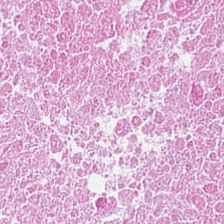Hematoxylin and eosin.
This patch shows cellular debris.
